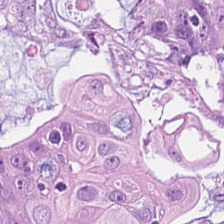Classification — extracellular mucin.
